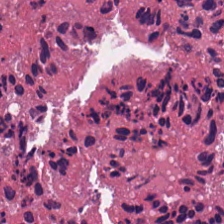H&E-stained tissue section — Predominantly cellular debris.
